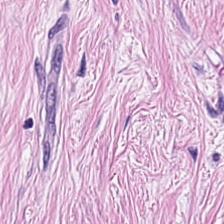Tissue type — cancer-associated stroma.
